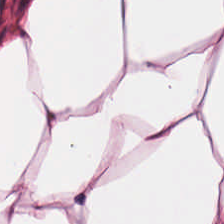Hematoxylin-and-eosin section: adipose.
